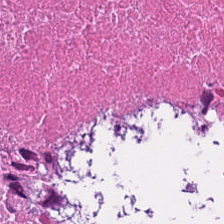H&E-stained tissue section. This field is debris.
